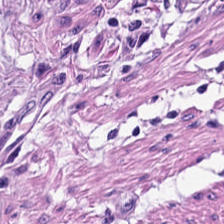FFPE tissue section; brightfield; H&E — The predominant tissue is smooth muscle.
